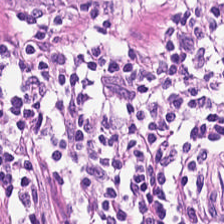Hematoxylin-and-eosin stained section.
The tissue is lymphocyte aggregate.
